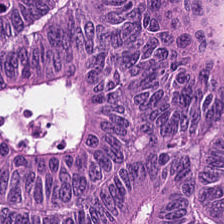0.5 µm/px; H&E stain; 224×224 pixel tile. Q: What type of tissue is this?
A: This is adenocarcinoma.
